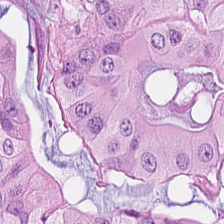H&E stain.
{"tissue_type": "colorectal adenocarcinoma epithelium"}
